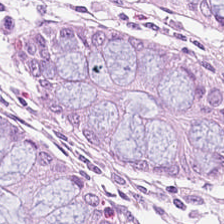Impression → non-neoplastic colon mucosa.
